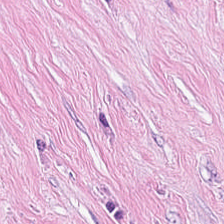Stain: H&E stain.
Tissue type: cancer-associated stroma.
